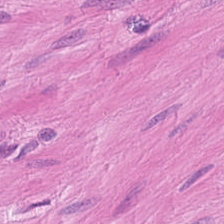FFPE · H&E-stained tissue section. The tissue is smooth muscle.
